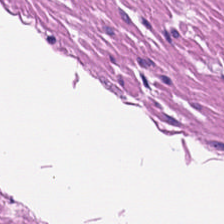Brightfield microscopy. H&E. The tissue here is smooth muscle.
